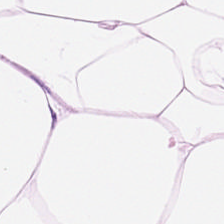Stain: H&E-stained tissue section.
Tissue type: adipose.
